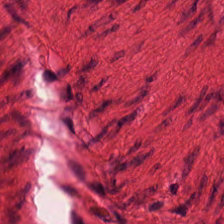Stain: hematoxylin and eosin.
Preparation: FFPE.
Tissue type: smooth-muscle tissue.
